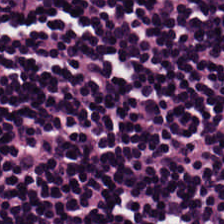H&E-stained tissue section. This patch shows lymphocytic infiltrate.
